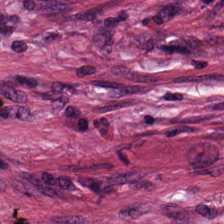H&E. Predominantly tumor-associated stroma.
